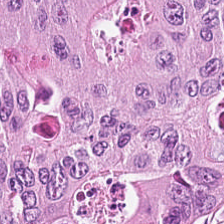Q: What tissue is shown?
A: It is malignant epithelium.
